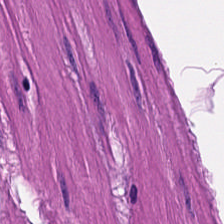Hematoxylin and eosin · 0.5 µm per pixel.
This patch shows smooth muscle.
